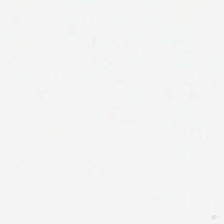Stain: hematoxylin and eosin.
Tile size: 224×224 pixel tile.
Classification: background.
